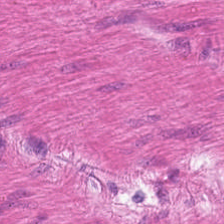Hematoxylin and eosin. Tissue type = smooth-muscle tissue.
